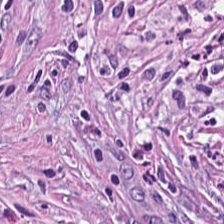Hematoxylin-and-eosin stained section. 0.5 µm per pixel — Showing desmoplastic stroma.
